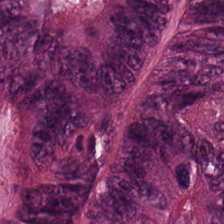H&E-stained tissue section. 224×224 px patch.
Q: What type of tissue is this?
A: It is colorectal adenocarcinoma.
